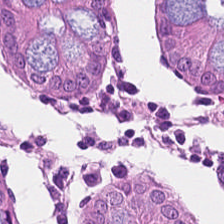FFPE. H&E stain. 0.5 microns per pixel. Predominantly normal colon mucosa.
